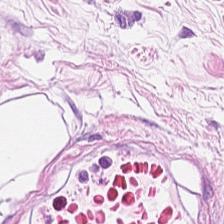224×224 px patch. Brightfield microscopy. Hematoxylin and eosin — This field is adipocytes.
